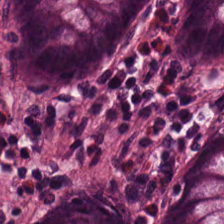H&E — Q: Identify the tissue.
A: The field shows normal colon mucosa.
